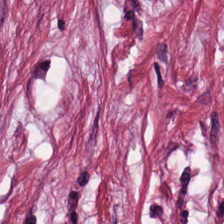Formalin-fixed paraffin-embedded section. Brightfield microscopy. H&E stain — Tissue = tumor-associated stroma.
